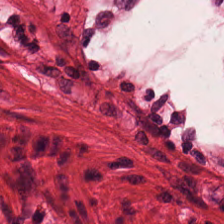H&E stain. 224×224 pixel tile. Finding — muscularis.
